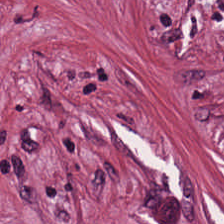0.5 µm/px. H&E.
Tissue — desmoplastic stroma.
